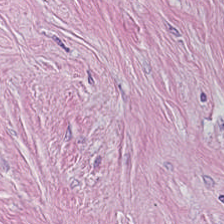H&E stain — Tumor stroma.
